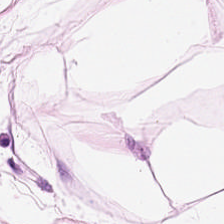Formalin-fixed paraffin-embedded section; H&E stain — This field is adipose.
